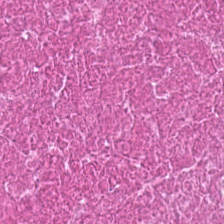Brightfield. 0.5 µm/px. H&E stain.
Predominantly necrotic debris.
